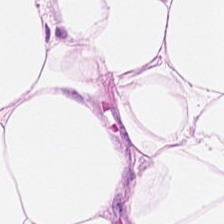Q: What is shown in this field?
A: This is adipose.
